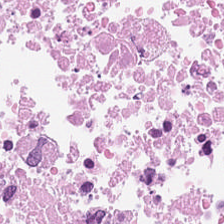FFPE · 20× equivalent magnification · hematoxylin and eosin — Predominantly debris.
